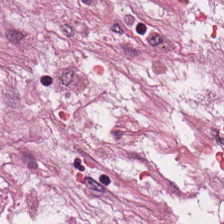0.5 µm/px; H&E; brightfield — The predominant tissue is cancer-associated stroma.
